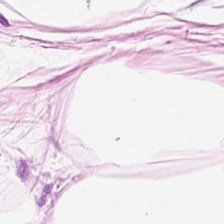Hematoxylin and eosin. Tissue type — fat tissue.
